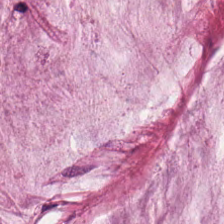FFPE tissue section. H&E stain.
Predominantly mucus.
